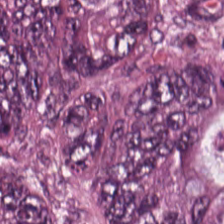Hematoxylin and eosin. Impression → tumor epithelium.
